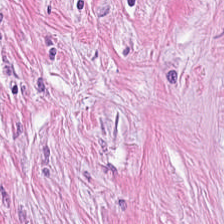20× equivalent magnification. H&E. The tissue class is cancer-associated stroma.
